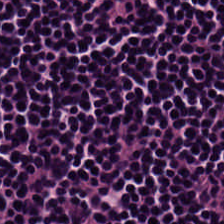20× equivalent magnification · hematoxylin-and-eosin stained section. Histology — lymphocyte aggregate.
